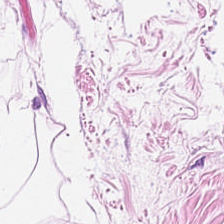0.5 µm/px. 224×224 px tile. H&E — Predominant tissue: adipose tissue.
